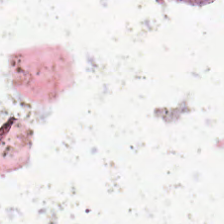Hematoxylin and eosin. No tissue present; background only.
